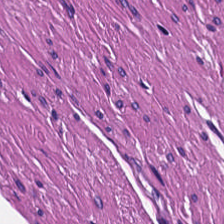224×224 pixel tile · hematoxylin-and-eosin stained section · FFPE.
Classification: smooth-muscle tissue.
